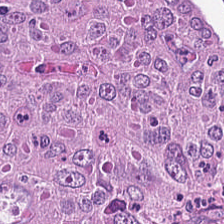Tissue class: colorectal adenocarcinoma.
